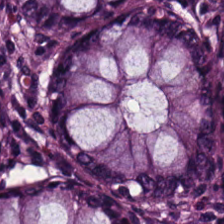Tissue type: normal colon mucosa.
